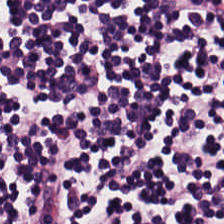Predominantly lymphoid infiltrate.
